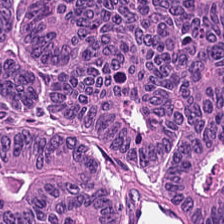H&E-stained tissue section. Predominant tissue — malignant epithelium.
